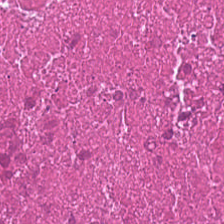H&E-stained tissue section — Tissue = cellular debris.
